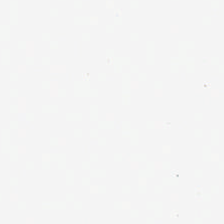Q: What is shown in this field?
A: This is background (no tissue).
